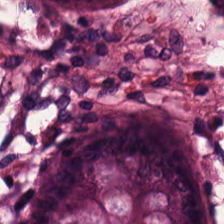224×224 px patch; H&E-stained tissue section.
Histology → normal colonic mucosa.
